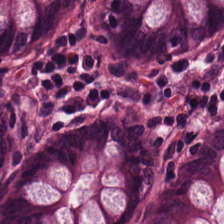0.5 microns per pixel; 224×224 px tile; H&E-stained tissue section — Predominant tissue: normal colonic mucosa.
